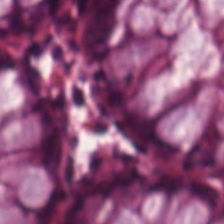Tissue class: normal colon mucosa.
